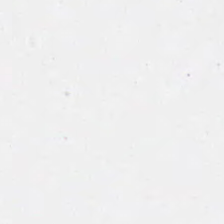This patch shows background.
